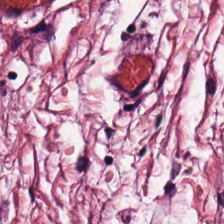Whole-slide-image patch; hematoxylin and eosin — Q: What tissue type is shown here?
A: This is tumor stroma.
